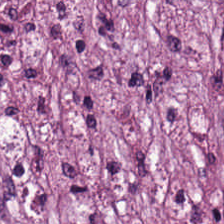Hematoxylin and eosin.
Finding → cancer-associated stroma.
